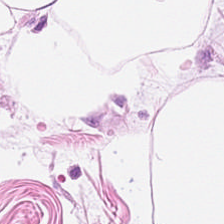224×224 px patch; H&E-stained tissue section; brightfield microscopy.
Q: What tissue is shown?
A: The field shows adipocytes.
